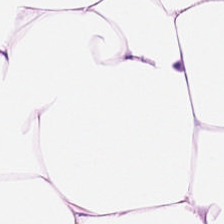Stain: hematoxylin-and-eosin stained section.
Preparation: formalin-fixed paraffin-embedded section.
Predominant tissue: fat tissue.
